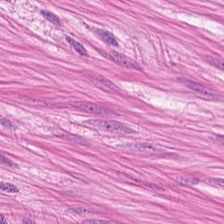H&E. Q: What is shown in this field?
A: Smooth muscle.
